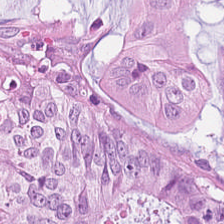Hematoxylin-and-eosin stained section — Tissue: malignant epithelium.
